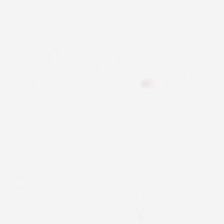Q: What is shown here?
A: No tissue.
